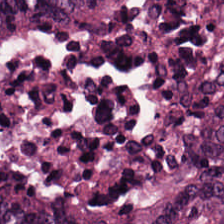H&E stain. Q: What is shown in this field?
A: The field shows colorectal adenocarcinoma epithelium.
